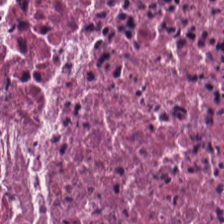FFPE · 0.5 µm/px · hematoxylin and eosin. Predominantly necrotic debris.
